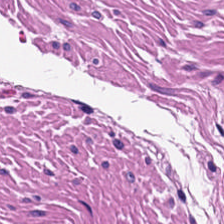H&E. {"tissue_type": "muscularis"}
